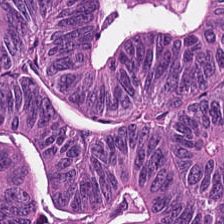Stain: hematoxylin-and-eosin stained section.
Acquisition: WSI patch.
Resolution: 0.5 microns per pixel.
Classification: tumor epithelium.
